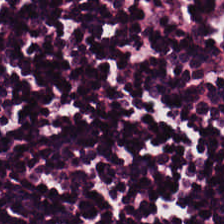Hematoxylin and eosin — Q: What is shown here?
A: This is lymphocyte aggregate.
